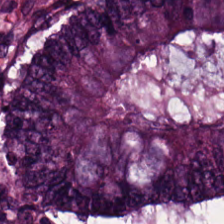H&E stain.
Tumor epithelium.
